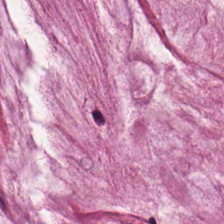FFPE. Hematoxylin-and-eosin stained section. The tissue here is mucin.
